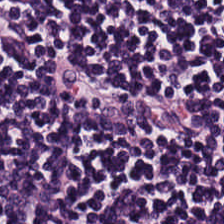224×224 px patch. Hematoxylin-and-eosin stained section. Brightfield microscopy. Showing lymphocytes.
